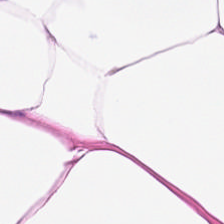H&E-stained tissue section showing adipose.
